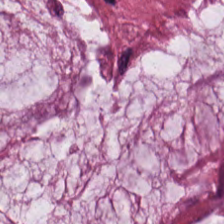H&E stain. Tissue: extracellular mucin.
